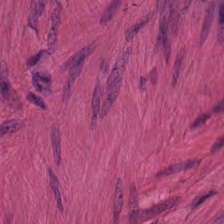WSI patch · 224×224 pixel tile · H&E — Predominantly smooth muscle.
